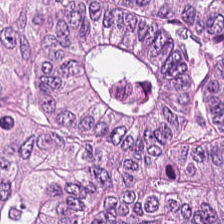Hematoxylin-and-eosin stained section; 224×224 px patch. {"tissue_type": "tumor epithelium"}
